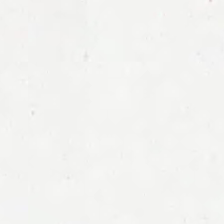Hematoxylin-and-eosin stained section — Content: no tissue.
